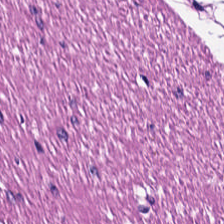Stain: hematoxylin-and-eosin stained section.
Resolution: 20× equivalent magnification.
Acquisition: whole-slide-image patch.
Tissue class: smooth muscle.
